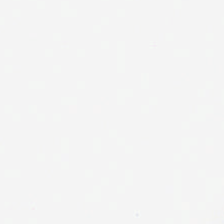Hematoxylin and eosin; 224×224 pixel tile — Histology — no tissue.
